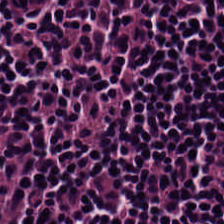Stain: hematoxylin-and-eosin stained section.
Resolution: 0.5 microns per pixel.
Preparation: FFPE tissue section.
Tissue: lymphoid infiltrate.
